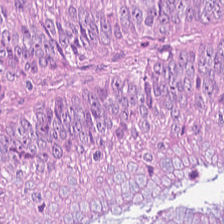Hematoxylin-and-eosin stained section — Predominantly adenocarcinoma.
